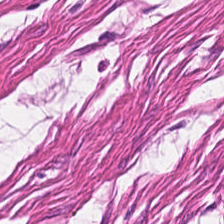H&E-stained tissue section — Tissue — smooth muscle.
